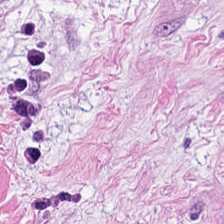Q: What tissue is shown?
A: The field shows desmoplastic stroma.
